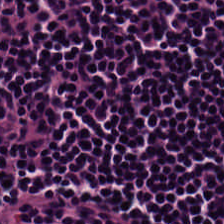Tissue: lymphocyte aggregate.
